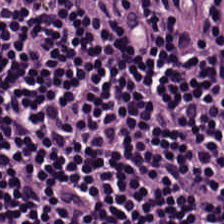Hematoxylin and eosin — The tissue type is lymphocytes.
